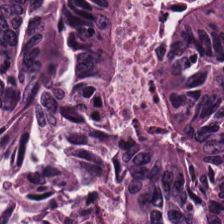Histology — adenocarcinoma.
